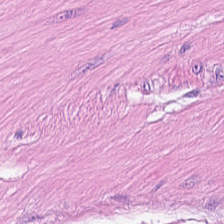H&E-stained tissue section. Q: What does this patch show?
A: The field shows muscularis.
